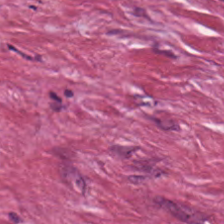Stain: H&E.
Predominant tissue: desmoplastic stroma.
